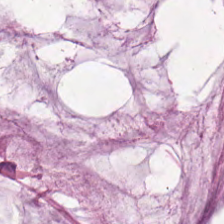H&E — The predominant tissue is extracellular mucin.
